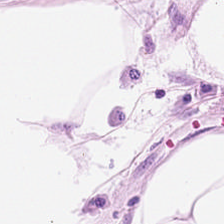Brightfield microscopy; H&E stain.
This field is adipose.
